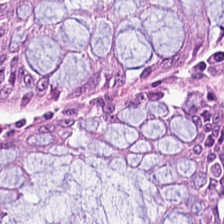H&E; 20× equivalent magnification.
The tissue class is benign colonic mucosa.
